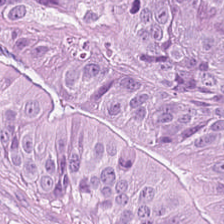0.5 µm per pixel; hematoxylin and eosin; FFPE.
This field is colorectal adenocarcinoma.
